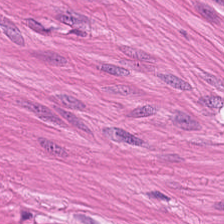Hematoxylin and eosin. Formalin-fixed paraffin-embedded section.
{"tissue_type": "smooth muscle"}
